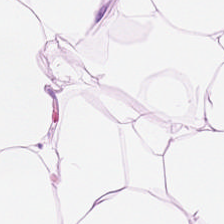Q: What is the predominant tissue type?
A: It is adipose tissue.
